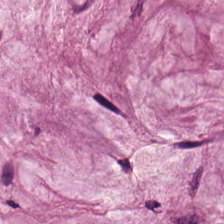Formalin-fixed paraffin-embedded section. H&E stain. Tissue type: mucin.
